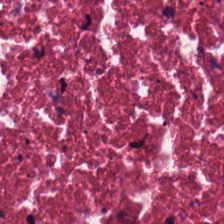Hematoxylin and eosin. Tissue class: cellular debris.
